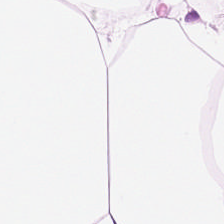224×224 px patch. H&E-stained tissue section. Formalin-fixed paraffin-embedded section — Q: What is the predominant tissue type?
A: Adipose.
